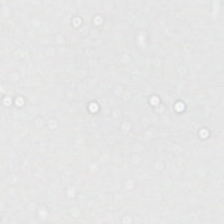H&E; 0.5 µm/px — Q: What is shown in this field?
A: Background.
